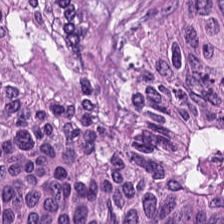H&E stain; brightfield; 0.5 µm per pixel — The classification is malignant epithelium.
